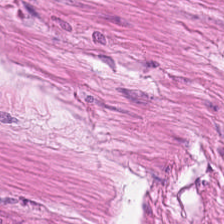Hematoxylin-and-eosin stained section.
Showing muscularis.
